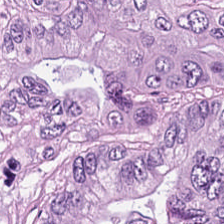Hematoxylin and eosin. Q: What is the predominant tissue type?
A: Adenocarcinoma.
